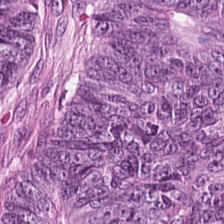H&E — malignant epithelium.
